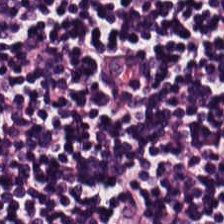FFPE tissue section · H&E · brightfield — Q: What tissue type is shown here?
A: It is lymphocytic infiltrate.
